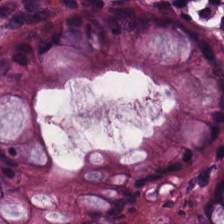H&E-stained tissue section — Benign colonic mucosa.
